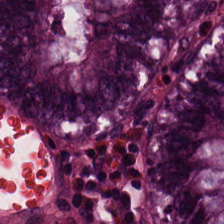Whole-slide-image patch; 20× equivalent magnification; H&E-stained tissue section.
This patch shows normal colon mucosa.
